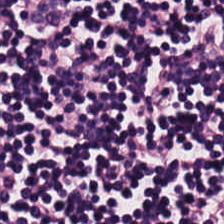Brightfield microscopy. 0.5 µm/px. H&E-stained tissue section. Histology — lymphocytic infiltrate.
